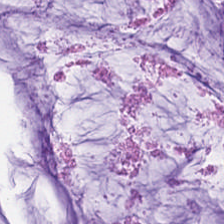Stain: H&E stain.
Tissue: extracellular mucin.
